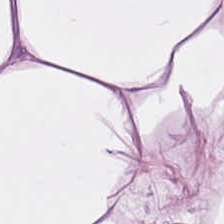H&E-stained section; the field shows fat tissue.
